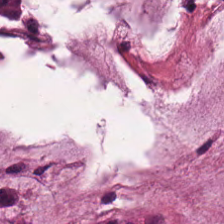H&E-stained tissue section. Brightfield microscopy. FFPE tissue section — Predominantly extracellular mucin.
